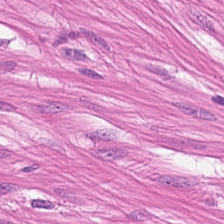Stain: H&E.
Tissue type: smooth-muscle tissue.
